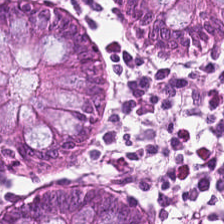Stain: hematoxylin-and-eosin stained section.
Acquisition: brightfield microscopy.
Resolution: 20× equivalent magnification.
Predominant tissue: normal colon mucosa.
